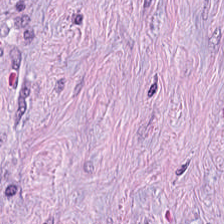Tissue — cancer-associated stroma.
